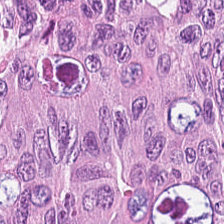Hematoxylin and eosin — Classification = colorectal adenocarcinoma.
